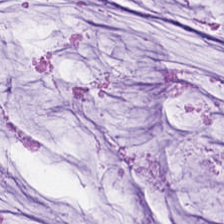The predominant tissue is mucin.
